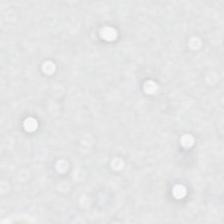H&E stain — This field is background (no tissue).
